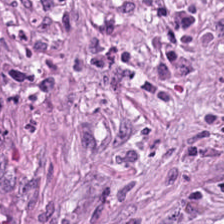Histology — cancer-associated stroma.
